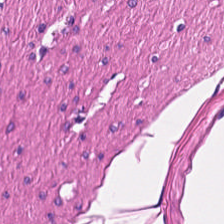H&E stain — Q: What is shown here?
A: It is smooth muscle.
